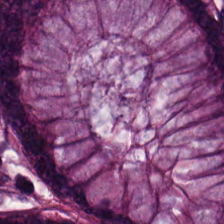Formalin-fixed paraffin-embedded section; H&E. Q: What tissue type is shown here?
A: It is normal colon mucosa.
